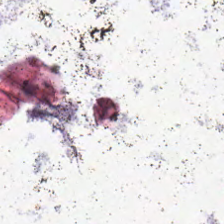Stain: H&E.
Content: background (no tissue).
